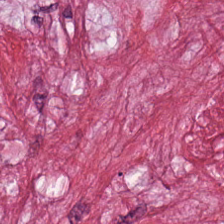Histology → cancer-associated stroma.
